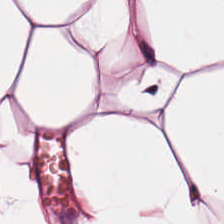H&E-stained tissue section.
This patch shows adipose tissue.
